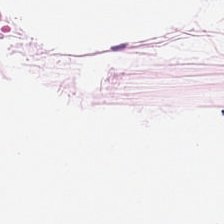H&E stain; WSI patch.
This patch shows adipocytes.
